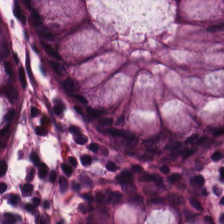H&E-stained tissue section — Predominantly normal colon mucosa.
